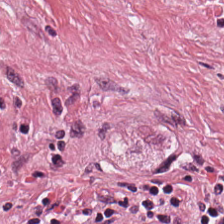Whole-slide-image patch · hematoxylin-and-eosin stained section — The tissue here is tumor-associated stroma.
